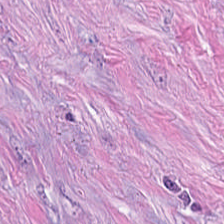H&E-stained tissue section. Q: What is shown here?
A: This is cancer-associated stroma.
